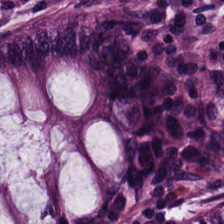The predominant tissue is non-neoplastic colon mucosa.
